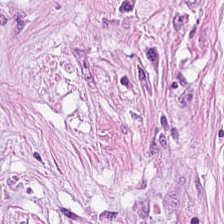Classification — tumor stroma.
